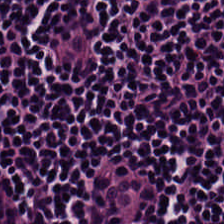Hematoxylin-and-eosin stained section.
Impression → lymphocytes.
